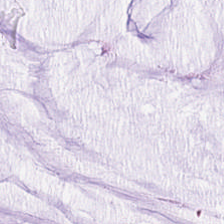Formalin-fixed paraffin-embedded section. H&E stain — Classification: mucus.
